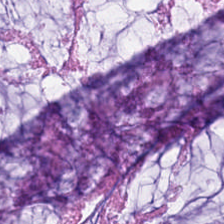H&E stain. Q: Identify the tissue.
A: This is mucin.
